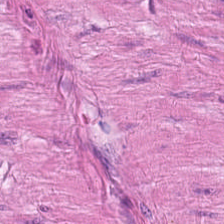0.5 µm per pixel · hematoxylin-and-eosin stained section — Q: Classify this patch.
A: It is muscularis.
